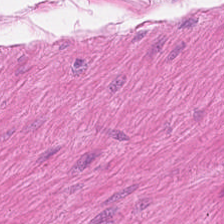H&E-stained tissue section — Q: What is shown here?
A: This is muscularis.
